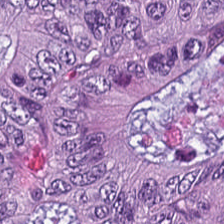0.5 µm/px · brightfield · hematoxylin-and-eosin stained section.
The predominant tissue is colorectal adenocarcinoma.
